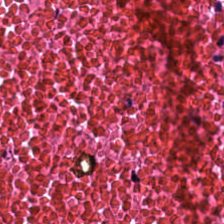Hematoxylin and eosin; 224×224 pixel tile; formalin-fixed paraffin-embedded section.
This field is cellular debris.
